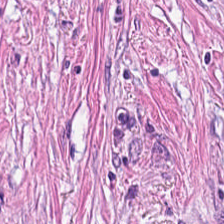H&E stain. Q: What is shown in this field?
A: It is desmoplastic stroma.
